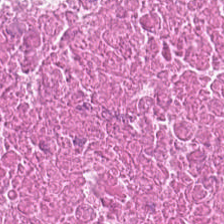Stain: H&E stain.
Acquisition: brightfield microscopy.
Tissue class: debris.
